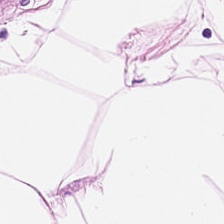Hematoxylin-and-eosin stained section · WSI patch · 0.5 µm per pixel — The classification is adipose tissue.
